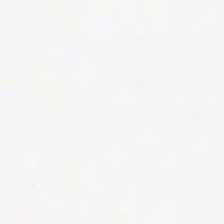0.5 µm per pixel; 224×224 pixel tile; H&E-stained tissue section.
Q: Classify this patch.
A: No tissue.
